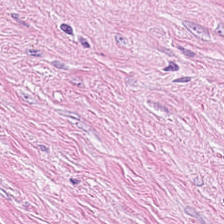H&E stain — Showing desmoplastic stroma.
